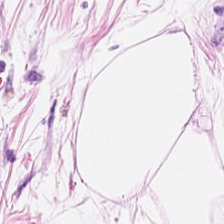H&E stain; 224×224 pixel tile.
Q: What is the predominant tissue type?
A: This is adipose tissue.
